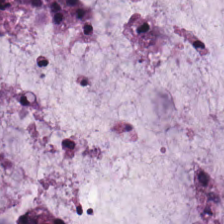20× equivalent magnification; hematoxylin and eosin. Classification — extracellular mucin.
